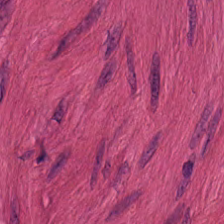Hematoxylin and eosin; 20× equivalent magnification.
This patch shows smooth muscle.
